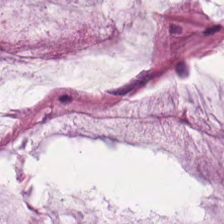Hematoxylin and eosin. The tissue here is extracellular mucin.
